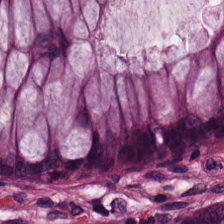Q: What is the predominant tissue type?
A: It is benign colonic mucosa.
